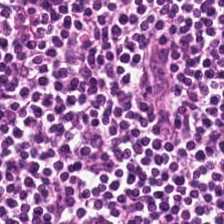0.5 µm/px. 224×224 pixel tile. H&E stain — Tissue type: lymphocytic infiltrate.
